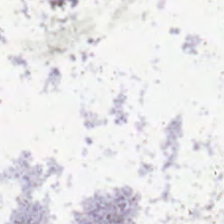No tissue present; background only.
